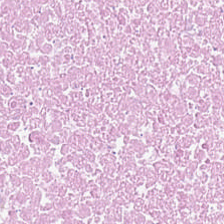Hematoxylin-and-eosin stained section · brightfield · FFPE tissue section.
Showing debris.
